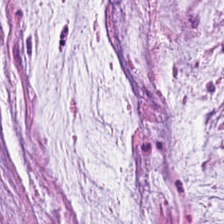224×224 pixel tile · hematoxylin-and-eosin stained section · brightfield. Tissue — mucin.
